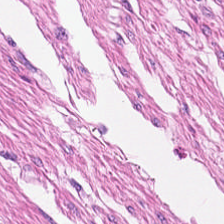Hematoxylin-and-eosin stained section.
The tissue is smooth-muscle tissue.
